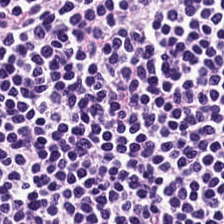0.5 µm per pixel · 224×224 px tile · H&E — Q: What is shown in this field?
A: Lymphocyte aggregate.
